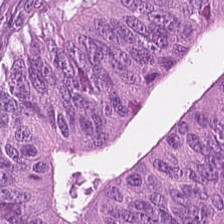Stain: H&E-stained tissue section.
Tile size: 224×224 px tile.
Predominant tissue: colorectal adenocarcinoma epithelium.
